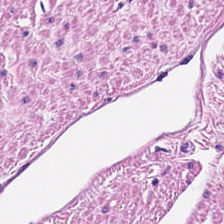H&E-stained tissue section.
The classification is smooth-muscle tissue.
